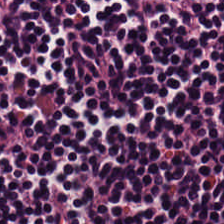H&E-stained tissue section. Lymphocytes.
